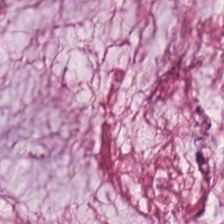Stain: H&E stain.
Tissue class: mucus.
